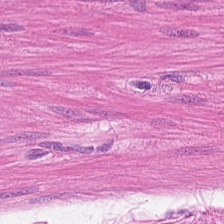H&E. Brightfield.
Showing smooth-muscle tissue.
